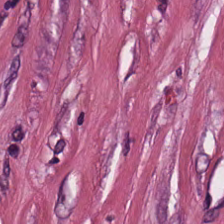H&E · 0.5 microns per pixel — Predominantly desmoplastic stroma.
